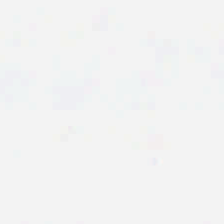Stain: hematoxylin-and-eosin stained section.
Resolution: 20× equivalent magnification.
Field content: no tissue.
